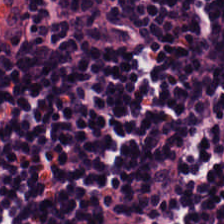Formalin-fixed paraffin-embedded section. Hematoxylin-and-eosin stained section. The predominant tissue is lymphocytes.
